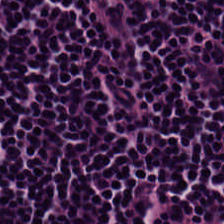Whole-slide-image patch; hematoxylin-and-eosin stained section — The predominant tissue is lymphocytic infiltrate.
